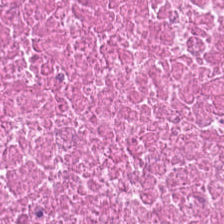H&E-stained tissue section. {"tissue_type": "necrotic debris"}
